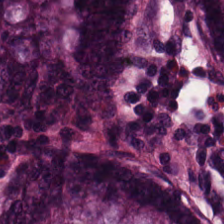H&E-stained tissue section.
Predominantly non-neoplastic colon mucosa.
